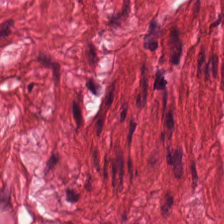H&E — Histology → smooth-muscle tissue.
